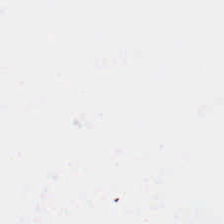Q: What is shown in this field?
A: The field shows background.
